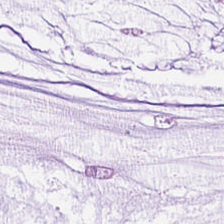Stain: H&E.
Preparation: FFPE tissue section.
Acquisition: WSI patch.
Tissue: mucus.
